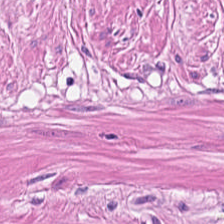H&E-stained tissue section; FFPE tissue section.
Tissue class — smooth-muscle tissue.
